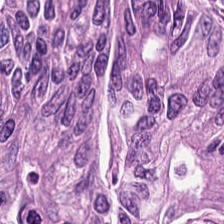Whole-slide-image patch · hematoxylin-and-eosin stained section.
Predominant tissue: colorectal adenocarcinoma epithelium.
